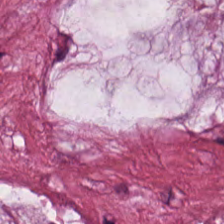Hematoxylin and eosin. This patch shows extracellular mucin.
